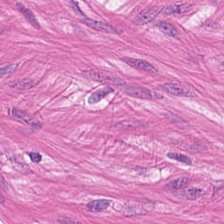The tissue type is smooth muscle.
